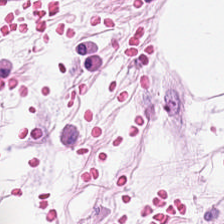Stain: H&E-stained tissue section.
Predominant tissue: adipocytes.
